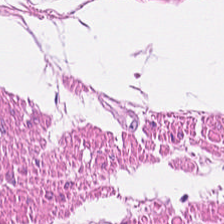Tissue — smooth-muscle tissue.
